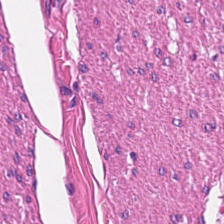H&E-stained tissue section — Showing muscularis.
